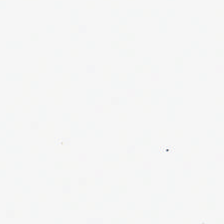Stain: hematoxylin-and-eosin stained section.
Field content: no tissue.
